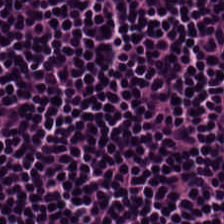Predominant tissue = lymphoid infiltrate.
